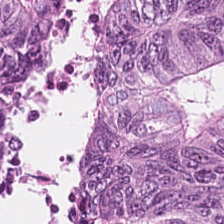Stain: H&E.
Acquisition: WSI patch.
Classification: colorectal adenocarcinoma epithelium.
